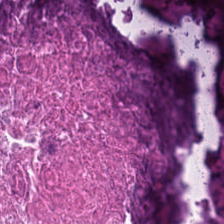224×224 px patch. H&E-stained tissue section — Showing debris.
